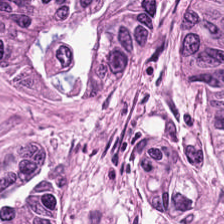Q: What does this patch show?
A: The field shows malignant epithelium.
